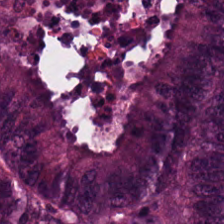H&E stain · 224×224 px patch — Colorectal adenocarcinoma.
